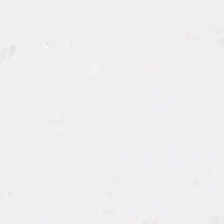Hematoxylin-and-eosin stained section. Brightfield. FFPE. No tissue present; background only.
